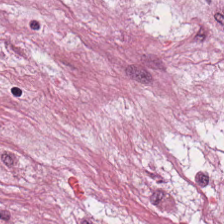Tissue — tumor stroma.
